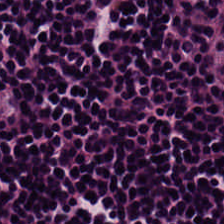224×224 pixel tile · H&E-stained tissue section.
Classification = lymphoid infiltrate.
